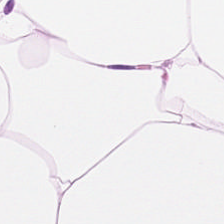Hematoxylin-and-eosin stained section. FFPE tissue section. 224×224 px patch. Tissue — fat tissue.
